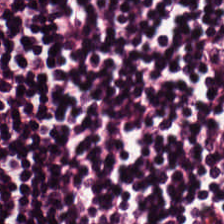Stain: H&E-stained tissue section.
Resolution: 20× equivalent magnification.
Classification: lymphocytic infiltrate.
